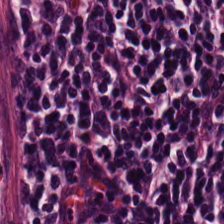Hematoxylin and eosin — Classification = lymphocytes.
